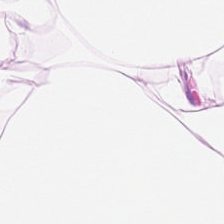FFPE tissue section. H&E-stained tissue section.
Showing adipose tissue.
